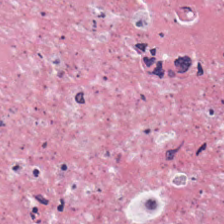H&E · 0.5 µm per pixel. Predominantly necrotic debris.
